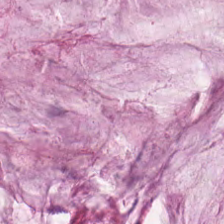Stain: hematoxylin-and-eosin stained section.
Classification: extracellular mucin.
